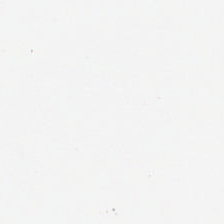Q: What is shown here?
A: No tissue.
